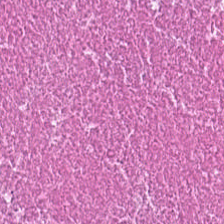H&E stain. WSI patch.
Tissue type: debris.
